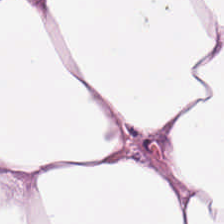224×224 px tile; H&E; FFPE tissue section.
This field is fat tissue.
